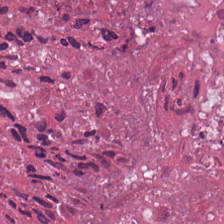Hematoxylin-and-eosin stained section.
Necrotic debris.
